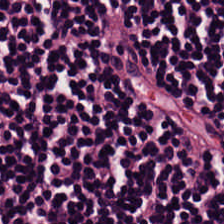H&E stain. Q: What is shown in this field?
A: It is lymphoid infiltrate.
